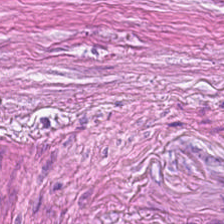Hematoxylin-and-eosin stained section.
{"tissue_type": "tumor-associated stroma"}
